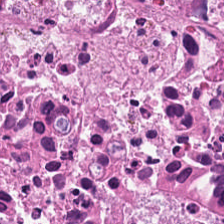Stain: hematoxylin-and-eosin stained section.
Tissue: cellular debris.
